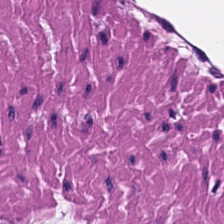H&E-stained tissue section — The tissue type is smooth-muscle tissue.
